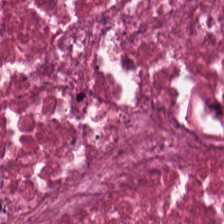Stain: H&E-stained tissue section.
Tissue class: necrotic debris.
